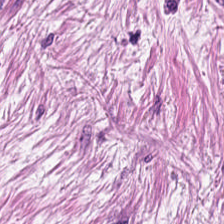The predominant tissue is cancer-associated stroma.
